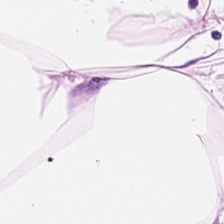224×224 px patch · 0.5 µm/px · H&E.
Q: What tissue is shown?
A: It is adipose.
